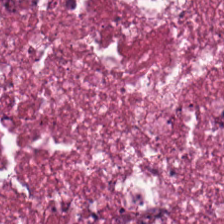H&E — Q: What tissue is shown?
A: It is necrotic debris.
